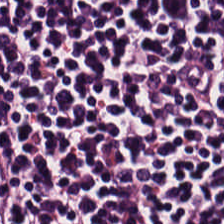Hematoxylin-and-eosin stained section. Finding — lymphoid infiltrate.
